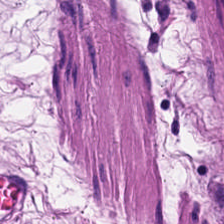H&E-stained tissue section. Showing smooth-muscle tissue.
